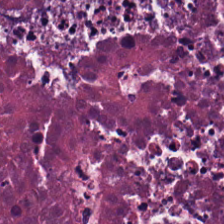0.5 µm per pixel; H&E stain.
Histology — necrotic debris.
